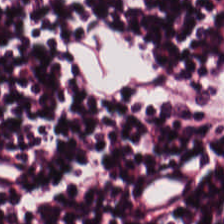Hematoxylin and eosin — Histology — lymphoid infiltrate.
